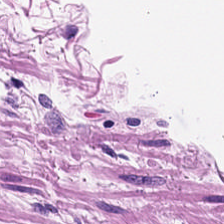Predominant tissue — smooth-muscle tissue.
